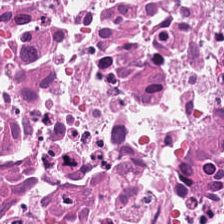Hematoxylin and eosin — Necrotic debris.
